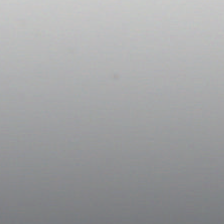The field content is background.
